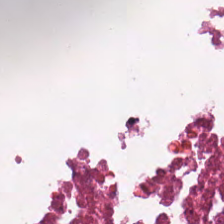Stain: H&E.
Tile size: 224×224 px patch.
Tissue class: necrotic debris.
